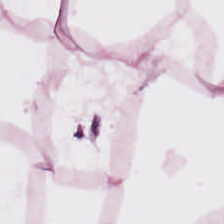H&E stain · brightfield. Impression — fat tissue.
